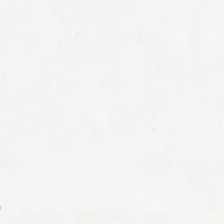0.5 µm per pixel · H&E-stained tissue section.
No tissue present; background only.
